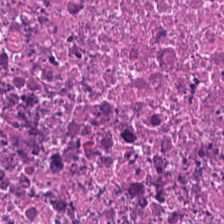0.5 microns per pixel · brightfield microscopy · H&E — Tissue type — debris.
